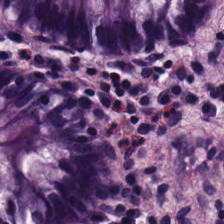H&E stain. The predominant tissue is benign colonic mucosa.
